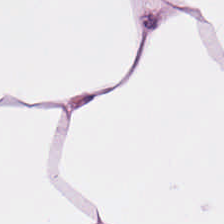H&E-stained tissue section — Histology — adipose tissue.
